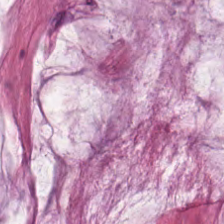224×224 px tile · FFPE · hematoxylin-and-eosin stained section. The classification is mucin.
